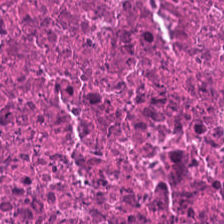H&E stain. FFPE. Whole-slide-image patch. Histology → debris.
